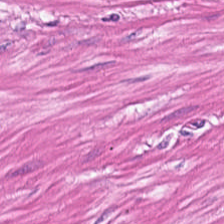Q: What tissue is shown?
A: Smooth muscle.
